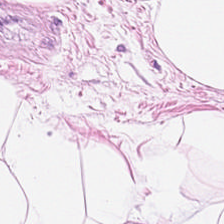H&E stain; 224×224 px patch; 0.5 microns per pixel — Tissue type = adipose tissue.
